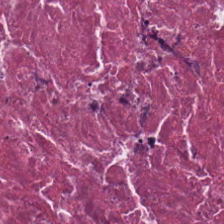{"tissue_type": "debris"}
